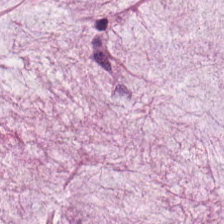20× equivalent magnification. Hematoxylin-and-eosin stained section. Whole-slide-image patch. The tissue here is mucin.
